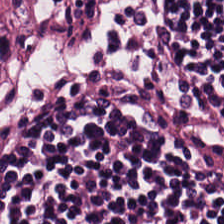The tissue here is lymphoid infiltrate.
